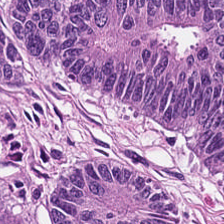Brightfield. H&E.
Q: What is shown here?
A: It is colorectal adenocarcinoma.
